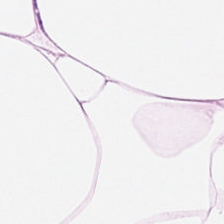Hematoxylin-and-eosin stained section — The predominant tissue is adipocytes.
